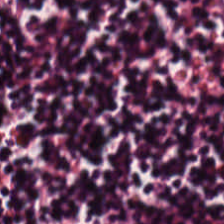Stain: H&E.
Classification: lymphoid infiltrate.
